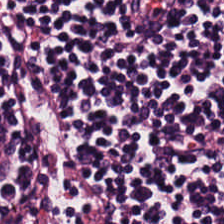H&E stain; 0.5 µm per pixel — This patch shows lymphoid infiltrate.
